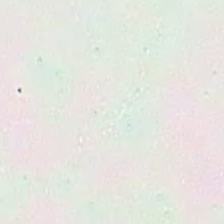Background — no tissue in this field.
